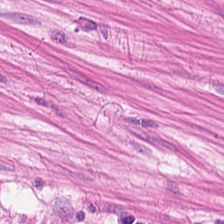Hematoxylin-and-eosin stained section; 224×224 pixel tile; 0.5 µm per pixel. This field is smooth muscle.
